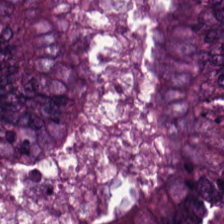Hematoxylin and eosin. Classification — tumor epithelium.
